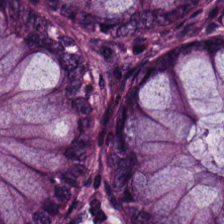H&E — Finding → normal colonic mucosa.
